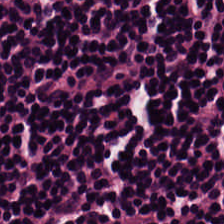0.5 µm/px; FFPE; H&E. The predominant tissue is lymphocyte aggregate.
